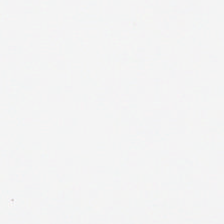224×224 pixel tile. WSI patch. Hematoxylin and eosin — No tissue present; background only.
